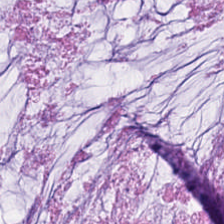Hematoxylin-and-eosin stained section — The predominant tissue is mucin.
